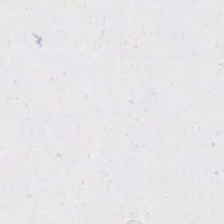H&E-stained tissue section. {"content": "no tissue"}
